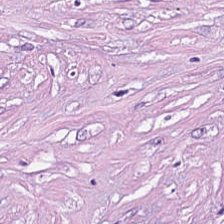H&E patch showing cancer-associated stroma.
